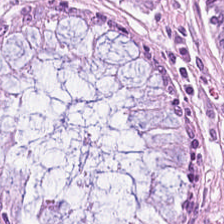Stain: hematoxylin and eosin.
Tile size: 224×224 px patch.
Tissue class: normal colonic mucosa.
